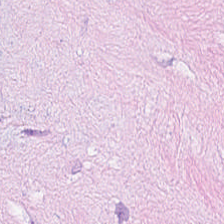Stain: hematoxylin and eosin.
Classification: tumor stroma.
